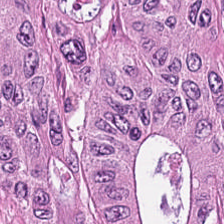Adenocarcinoma.
